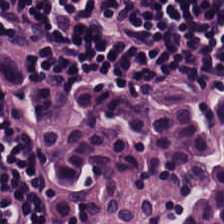Hematoxylin and eosin. Impression — lymphoid infiltrate.
